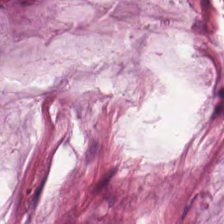H&E-stained tissue section.
{"tissue_type": "extracellular mucin"}
